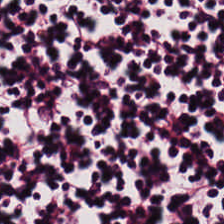H&E stain — Q: What is shown here?
A: The field shows lymphocyte aggregate.
